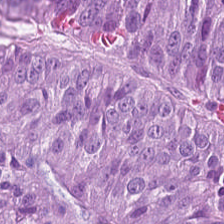Hematoxylin and eosin · whole-slide-image patch · FFPE. This field is colorectal adenocarcinoma epithelium.
